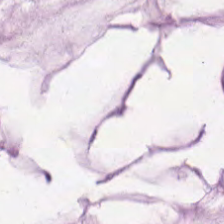Classification — extracellular mucin.
